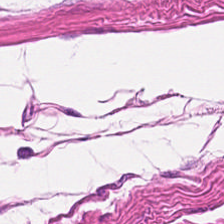H&E stain. 0.5 µm/px.
Predominant tissue = smooth-muscle tissue.
